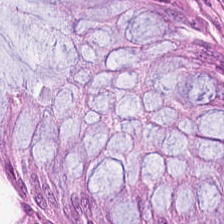This field is normal colon mucosa.
